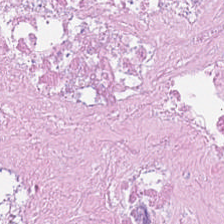Q: What is shown here?
A: It is debris.
